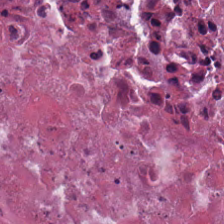Hematoxylin-and-eosin stained section. Impression → necrotic debris.
